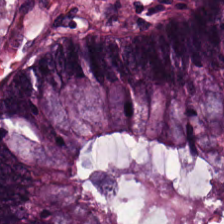H&E.
This field is colorectal adenocarcinoma epithelium.
